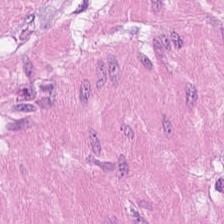H&E — Tissue = smooth-muscle tissue.
